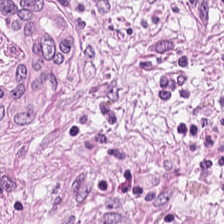Whole-slide-image patch; hematoxylin and eosin.
Histology → desmoplastic stroma.
